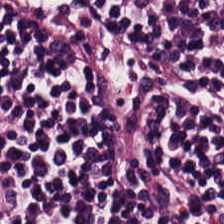Hematoxylin-and-eosin stained section. Tissue class — lymphocytes.
